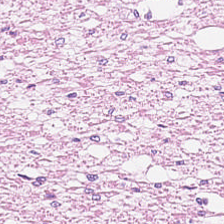H&E-stained tissue section · 0.5 microns per pixel.
Impression — smooth-muscle tissue.
